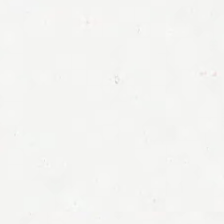Stain: H&E stain.
Classification: background (no tissue).
